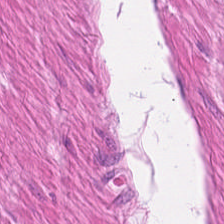Stain: H&E-stained tissue section.
Preparation: FFPE.
Resolution: 0.5 µm/px.
Classification: muscularis.
